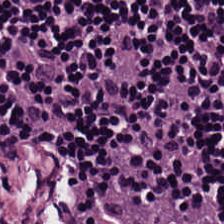224×224 px tile. 0.5 µm/px. Hematoxylin and eosin.
Impression → lymphocytes.
